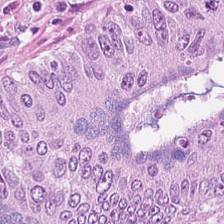The tissue here is colorectal adenocarcinoma.
